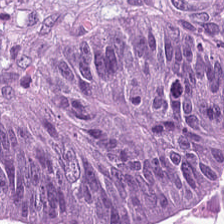Q: What is shown here?
A: Adenocarcinoma.
